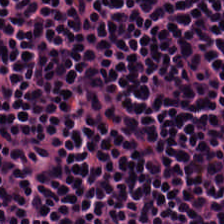Lymphocyte aggregate.
